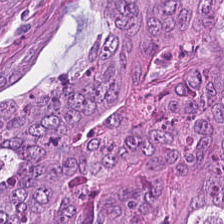H&E stain; formalin-fixed paraffin-embedded section.
Impression → tumor epithelium.
